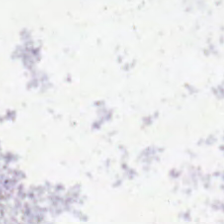20× equivalent magnification; hematoxylin and eosin.
The content is no tissue.
